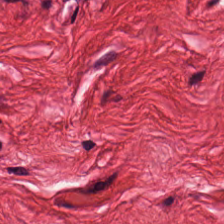Hematoxylin-and-eosin stained section. Finding — smooth muscle.
